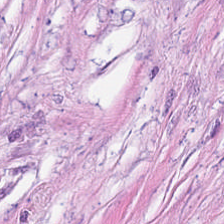Hematoxylin-and-eosin stained section; brightfield microscopy. Tissue: cancer-associated stroma.
